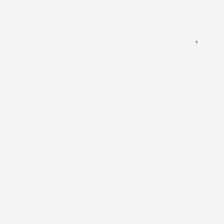H&E-stained tissue section.
Field content = no tissue.
